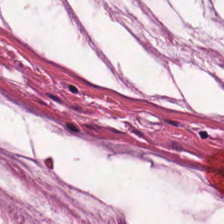224×224 pixel tile · formalin-fixed paraffin-embedded section · H&E stain. The predominant tissue is mucus.
